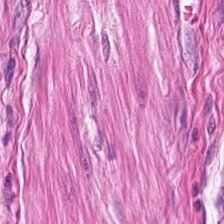Histology — muscularis.
